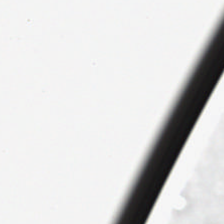Stain: H&E-stained tissue section.
Content: background (no tissue).
